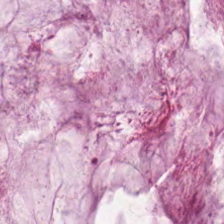Brightfield. H&E-stained tissue section.
Finding — extracellular mucin.
